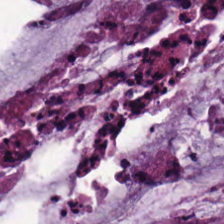The tissue here is mucus.
